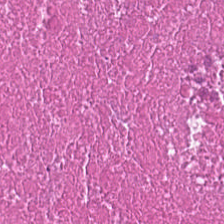H&E stain. 0.5 microns per pixel.
The tissue here is cellular debris.
